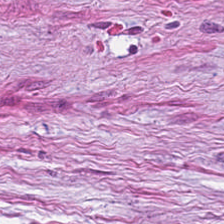Hematoxylin and eosin — Q: What type of tissue is this?
A: It is desmoplastic stroma.
